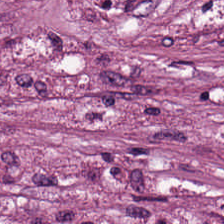H&E-stained tissue section.
This patch shows desmoplastic stroma.
